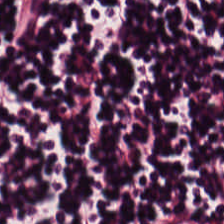Hematoxylin and eosin; WSI patch — Q: Identify the tissue.
A: This is lymphoid infiltrate.
